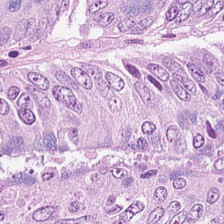H&E stain. The predominant tissue is colorectal adenocarcinoma.
